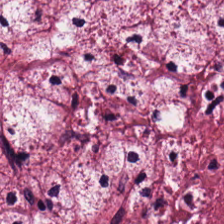H&E stain; 0.5 microns per pixel.
Predominantly desmoplastic stroma.
